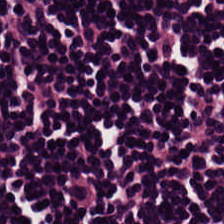H&E patch showing lymphocyte aggregate.
